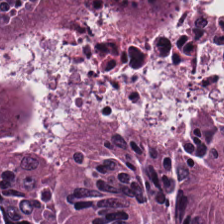Q: What is shown in this field?
A: This is malignant epithelium.
